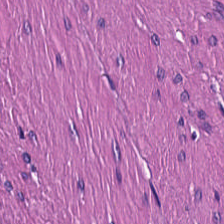H&E. Tissue: muscularis.
